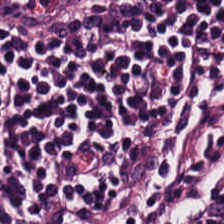H&E-stained tissue section; 224×224 px tile; FFPE. Predominantly lymphocytic infiltrate.
